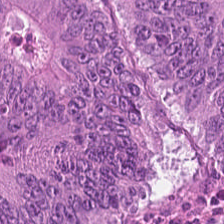Q: What tissue is shown?
A: The field shows malignant epithelium.
